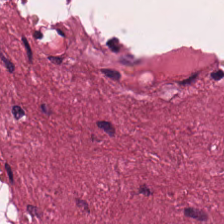H&E stain. FFPE tissue section.
The predominant tissue is tumor stroma.
